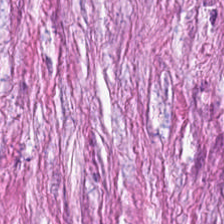Stain: H&E-stained tissue section.
Tissue: tumor stroma.
